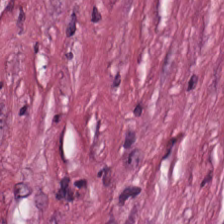Histology → tumor-associated stroma.
